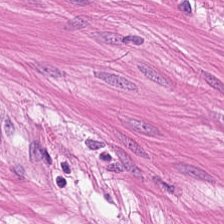H&E-stained tissue section — The predominant tissue is muscularis.
